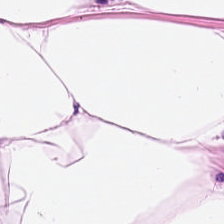H&E — Q: What tissue type is shown here?
A: Adipose.
